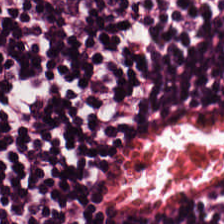224×224 px tile. Formalin-fixed paraffin-embedded section. H&E-stained tissue section. Tissue class — lymphocytic infiltrate.
